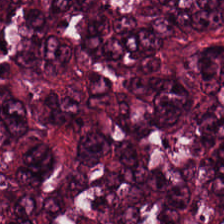{"tissue_type": "colorectal adenocarcinoma"}
